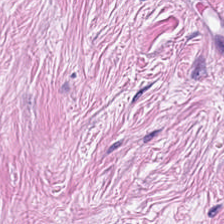Hematoxylin-and-eosin stained section. Tissue: tumor stroma.
